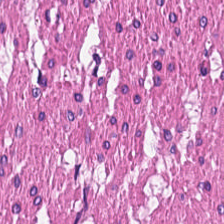Hematoxylin and eosin. Tissue class = muscularis.
